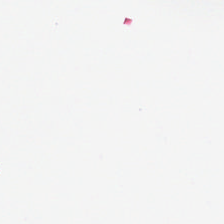Stain: hematoxylin-and-eosin stained section.
Acquisition: brightfield microscopy.
Field content: empty background.
